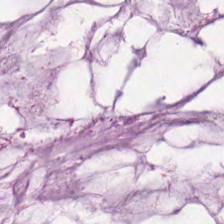Hematoxylin and eosin.
The tissue here is extracellular mucin.
